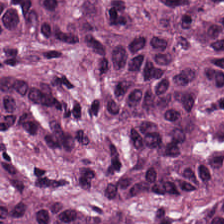FFPE tissue section. H&E-stained tissue section. 224×224 pixel tile.
Colorectal adenocarcinoma.
